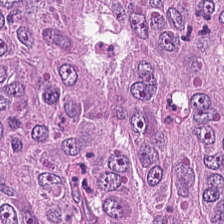Tissue type: malignant epithelium.
